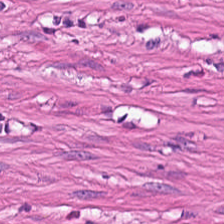Predominant tissue: muscularis.
